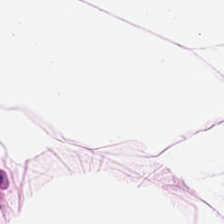H&E.
Q: Identify the tissue.
A: It is adipocytes.
